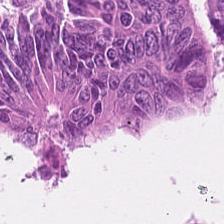Stain: hematoxylin and eosin.
Tissue: tumor epithelium.
